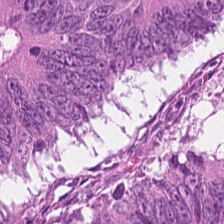Hematoxylin and eosin.
Showing adenocarcinoma.
